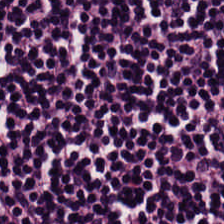Brightfield. Hematoxylin-and-eosin stained section. 224×224 pixel tile.
{"tissue_type": "lymphocytes"}
